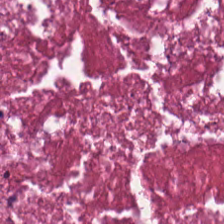Stain: hematoxylin and eosin.
Tissue: necrotic debris.
